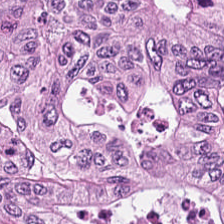WSI patch. Hematoxylin and eosin — The predominant tissue is colorectal adenocarcinoma epithelium.
